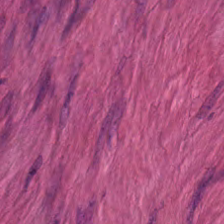Stain: hematoxylin and eosin.
Resolution: 0.5 µm/px.
Preparation: FFPE.
Tissue class: muscularis.
